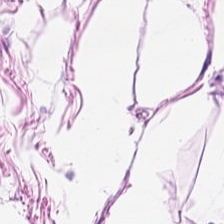Hematoxylin-and-eosin stained section. Q: What type of tissue is this?
A: This is adipocytes.
